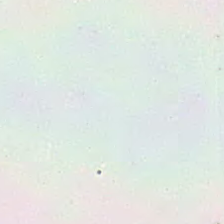{"content": "background (no tissue)"}
